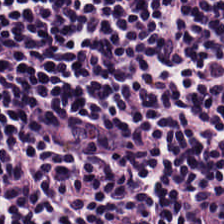Q: Classify this patch.
A: It is lymphocyte aggregate.
